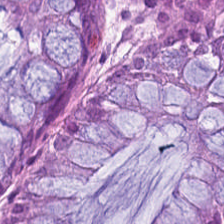224×224 px patch; hematoxylin and eosin; 20× equivalent magnification.
Finding — normal colon mucosa.
